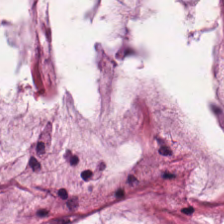Formalin-fixed paraffin-embedded section · WSI patch · hematoxylin and eosin — This field is extracellular mucin.
